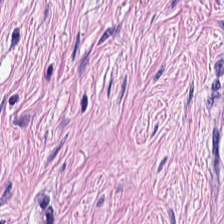Stain: H&E stain.
Predominant tissue: desmoplastic stroma.
